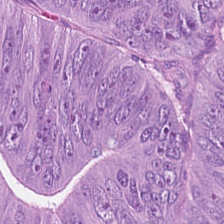FFPE tissue section. 20× equivalent magnification. Hematoxylin-and-eosin stained section. Tissue type — tumor epithelium.
